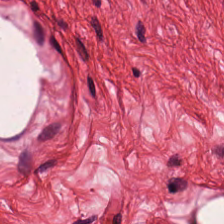H&E-stained tissue section. This field is smooth-muscle tissue.
